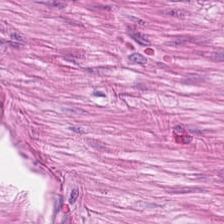Hematoxylin and eosin.
Tissue: muscularis.
